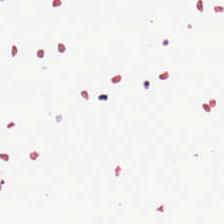Stain: H&E-stained tissue section.
Tile size: 224×224 px tile.
Classification: background (no tissue).
